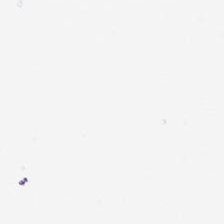H&E stain. Classification: empty background.
